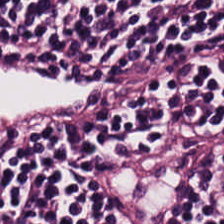Predominant tissue — lymphoid infiltrate.
